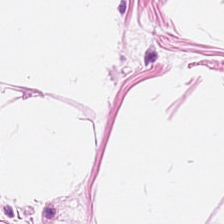H&E. {"tissue_type": "adipose tissue"}
